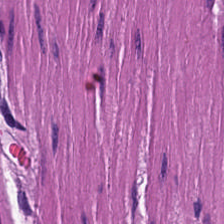This patch shows smooth muscle.
